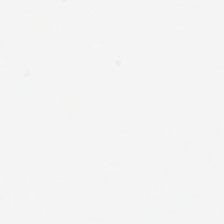H&E-stained tissue section — Q: What is shown here?
A: This is background (no tissue).
